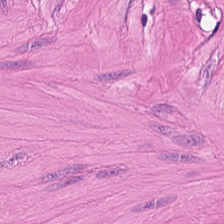Muscularis.
